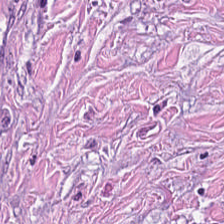H&E.
Tissue: desmoplastic stroma.
